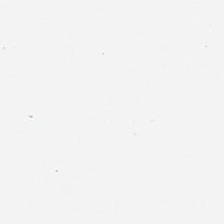Stain: hematoxylin-and-eosin stained section.
Field content: empty background.
